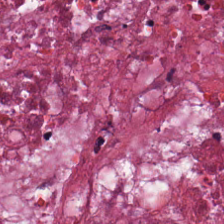Q: What is shown here?
A: This is debris.
